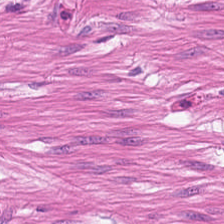0.5 µm/px · H&E stain.
Finding → muscularis.
